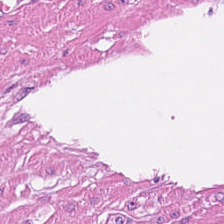Predominantly muscularis.
